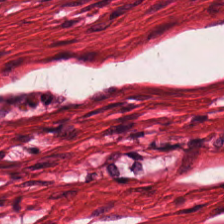H&E — {"tissue_type": "muscularis"}
